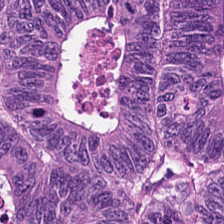FFPE tissue section · hematoxylin-and-eosin stained section.
Tissue type = malignant epithelium.
